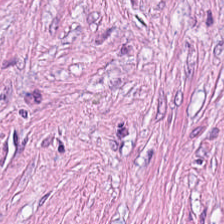Stain: H&E stain.
Tile size: 224×224 px patch.
Tissue class: tumor stroma.
